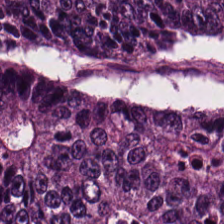Stain: hematoxylin-and-eosin stained section.
Acquisition: WSI patch.
Tissue class: colorectal adenocarcinoma.
